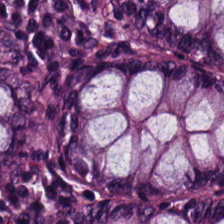Hematoxylin and eosin. FFPE.
Q: What type of tissue is this?
A: The field shows non-neoplastic colon mucosa.
